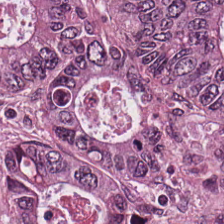Stain: H&E-stained tissue section.
Tissue type: tumor epithelium.
